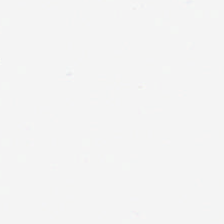Formalin-fixed paraffin-embedded section · hematoxylin-and-eosin stained section · 224×224 pixel tile — Q: What is shown in this field?
A: It is empty background.
